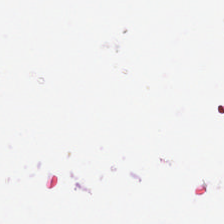Hematoxylin and eosin; FFPE; 224×224 px tile.
Content: empty background.
